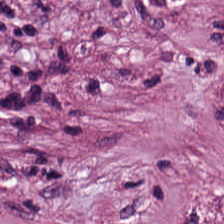WSI patch. 224×224 pixel tile. Hematoxylin-and-eosin stained section. {"tissue_type": "tumor-associated stroma"}
